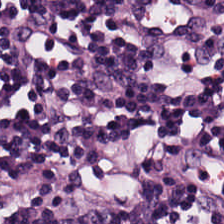20× equivalent magnification; H&E-stained tissue section; 224×224 px patch.
The predominant tissue is lymphocytic infiltrate.
